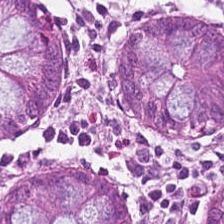H&E · 0.5 microns per pixel. Classification = benign colonic mucosa.
